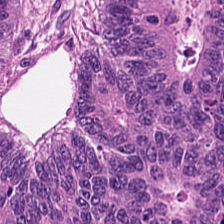H&E. FFPE — Impression → colorectal adenocarcinoma.
